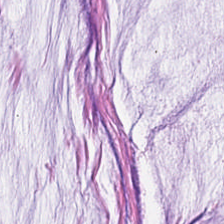Finding — mucin.
